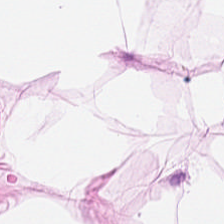20× equivalent magnification. 224×224 px tile. H&E. Q: What type of tissue is this?
A: The field shows fat tissue.
